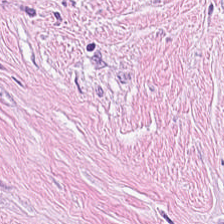0.5 µm/px. WSI patch. H&E-stained tissue section.
The predominant tissue is tumor stroma.
